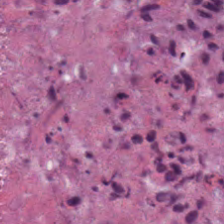Hematoxylin-and-eosin stained section. Q: What is shown here?
A: The field shows cellular debris.
